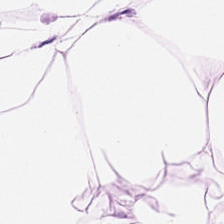H&E stain. Impression — fat tissue.
